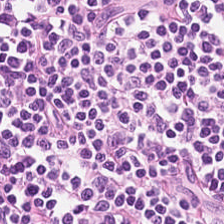Stain: hematoxylin-and-eosin stained section.
Preparation: FFPE.
Resolution: 0.5 µm per pixel.
Tissue type: lymphoid infiltrate.
